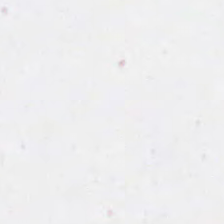Hematoxylin and eosin; WSI patch. Background — no tissue in this field.
